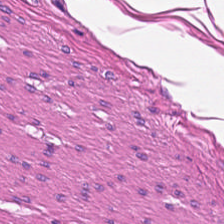Tissue type: smooth muscle.
